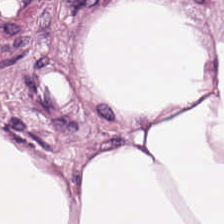Hematoxylin-and-eosin stained section. Q: What is the predominant tissue type?
A: It is adipocytes.
